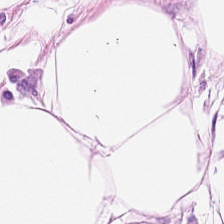H&E stain — Adipose tissue.
